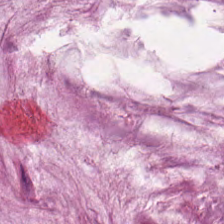Stain: hematoxylin and eosin.
Tile size: 224×224 px patch.
Tissue class: mucus.
